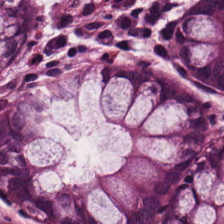H&E-stained tissue section.
Q: What does this patch show?
A: It is non-neoplastic colon mucosa.
